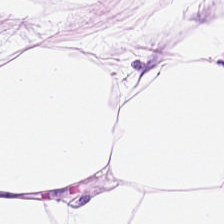Tissue: adipocytes.
